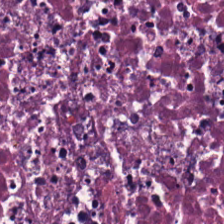Brightfield microscopy · 20× equivalent magnification · hematoxylin-and-eosin stained section — Q: What is shown in this field?
A: It is necrotic debris.
